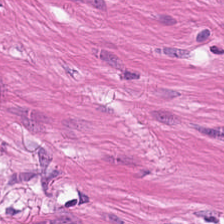Smooth muscle.
